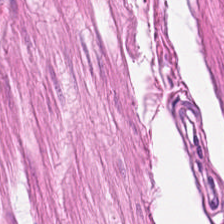224×224 pixel tile. FFPE. Hematoxylin-and-eosin stained section. Q: Classify this patch.
A: The field shows smooth-muscle tissue.
